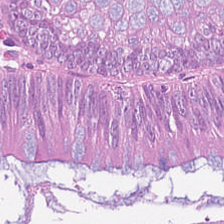Tumor epithelium.
